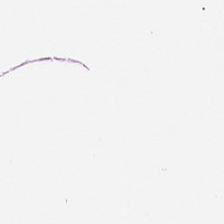Q: What is shown in this field?
A: It is empty background.
